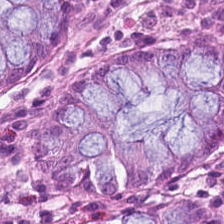Stain: H&E stain.
Acquisition: whole-slide-image patch.
Tile size: 224×224 px patch.
Tissue class: normal colonic mucosa.
